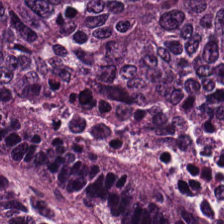H&E stain · 0.5 microns per pixel — The tissue here is malignant epithelium.
